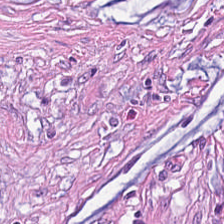H&E. 224×224 pixel tile. The predominant tissue is tumor stroma.
